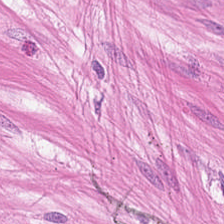Stain: hematoxylin and eosin.
Tissue class: smooth-muscle tissue.
